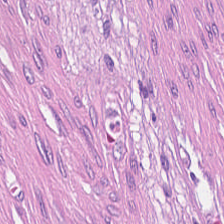H&E. Q: What is shown here?
A: It is tumor-associated stroma.
